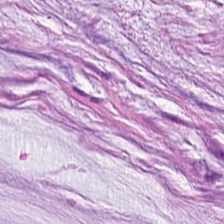H&E stain. Q: What does this patch show?
A: This is mucus.
